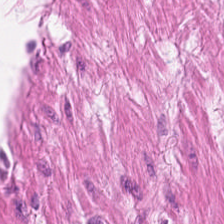Hematoxylin and eosin. Whole-slide-image patch.
Q: What does this patch show?
A: Smooth-muscle tissue.
